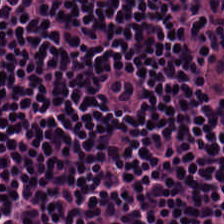Hematoxylin-and-eosin stained section · 224×224 pixel tile · FFPE tissue section.
Predominant tissue: lymphocyte aggregate.
